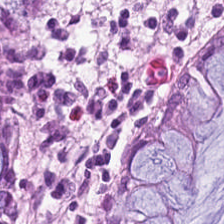This patch shows non-neoplastic colon mucosa.
